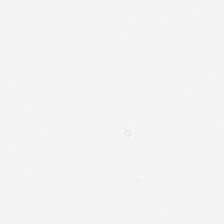FFPE. H&E. Brightfield microscopy — Q: What does this patch show?
A: Background.
